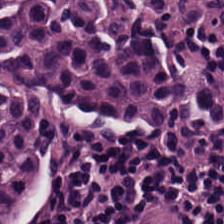The tissue here is lymphoid infiltrate.
